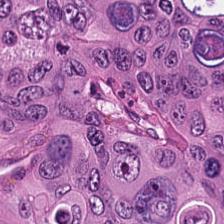H&E.
Q: What tissue is shown?
A: Colorectal adenocarcinoma.
